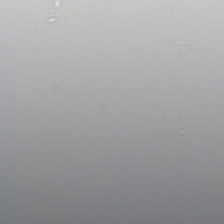Stain: hematoxylin and eosin.
Field content: background (no tissue).
